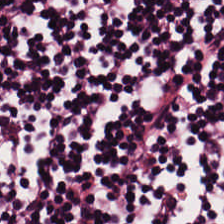Stain: H&E.
Tile size: 224×224 pixel tile.
Acquisition: WSI patch.
Classification: lymphocytic infiltrate.
